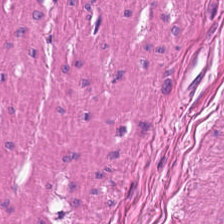H&E stain — Histology — smooth-muscle tissue.
